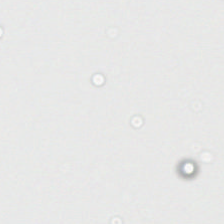H&E-stained tissue section · 0.5 µm per pixel — Q: What is shown in this field?
A: This is background.
